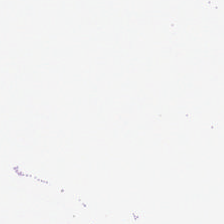Impression → no tissue.
